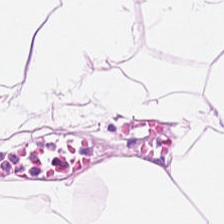Tissue = fat tissue.
